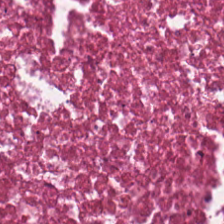Hematoxylin-and-eosin stained section. Necrotic debris.
